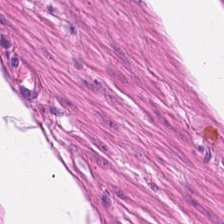H&E stain — The predominant tissue is smooth muscle.
